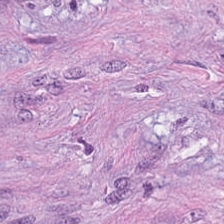H&E — tumor stroma.
